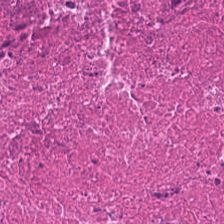FFPE tissue section; H&E-stained tissue section; brightfield microscopy. Tissue — cellular debris.
